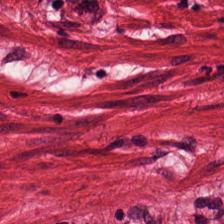H&E — smooth muscle.
